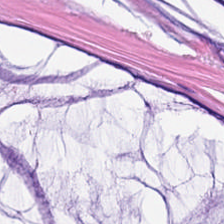Hematoxylin-and-eosin stained section · FFPE tissue section · 20× equivalent magnification. This patch shows extracellular mucin.
